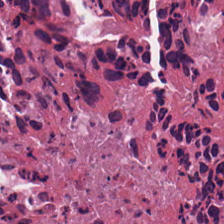Tissue type — necrotic debris.
